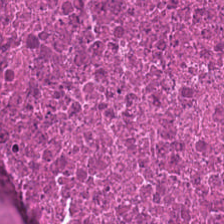H&E — Finding → necrotic debris.
